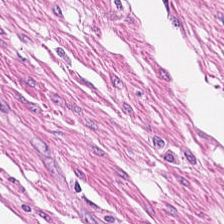H&E.
Q: What tissue type is shown here?
A: Muscularis.
